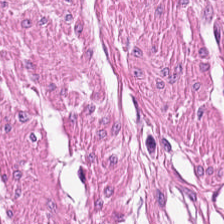Tissue — muscularis.
